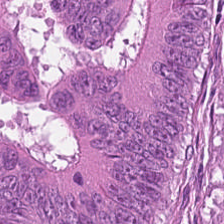0.5 µm per pixel. H&E-stained tissue section.
Q: What type of tissue is this?
A: It is malignant epithelium.
